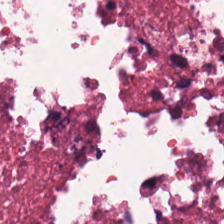Hematoxylin and eosin. The predominant tissue is necrotic debris.
